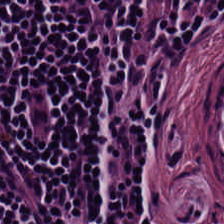Tissue — lymphocytic infiltrate.
